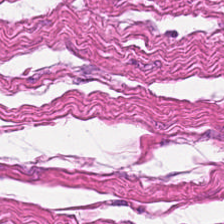Stain: H&E stain.
Resolution: 20× equivalent magnification.
Tissue: smooth muscle.
